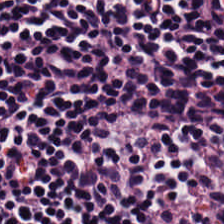Stain: H&E.
Classification: lymphocytic infiltrate.
